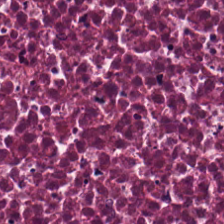0.5 microns per pixel. Hematoxylin and eosin — Tissue type = necrotic debris.
